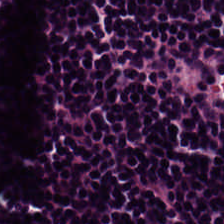FFPE tissue section. H&E-stained tissue section. Lymphocytes.
